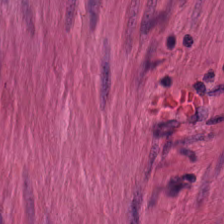Hematoxylin and eosin. Brightfield. Q: Identify the tissue.
A: It is smooth-muscle tissue.
